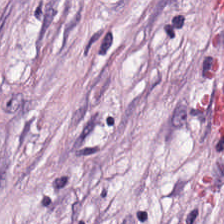H&E. Histology → desmoplastic stroma.
